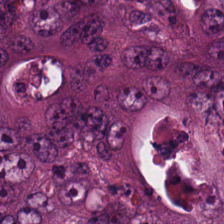Hematoxylin-and-eosin stained section — Showing tumor epithelium.
